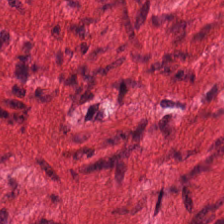Finding → smooth-muscle tissue.
